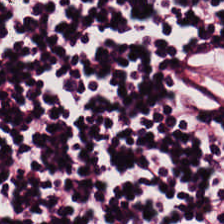Stain: hematoxylin and eosin.
Acquisition: brightfield.
Classification: lymphocytes.
